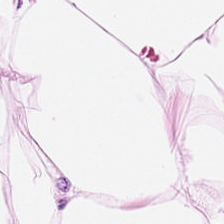Whole-slide-image patch; hematoxylin and eosin.
Adipose tissue.
